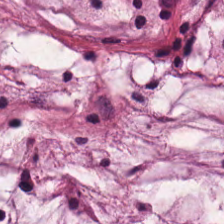Q: What does this patch show?
A: The field shows mucin.
